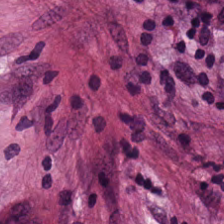0.5 µm/px · hematoxylin and eosin.
Tissue — tumor stroma.
